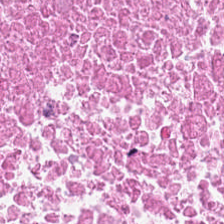Hematoxylin and eosin.
Q: What type of tissue is this?
A: Cellular debris.
